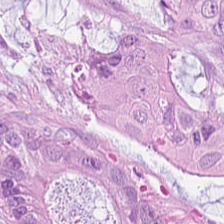FFPE; H&E. Predominant tissue = tumor epithelium.
